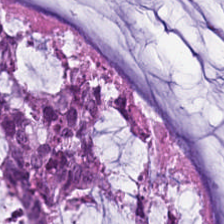FFPE. Hematoxylin-and-eosin stained section — This field is extracellular mucin.
